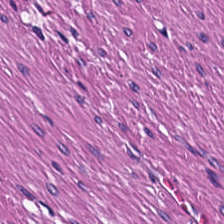H&E-stained tissue section showing smooth muscle.
